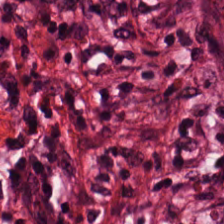Hematoxylin and eosin; FFPE tissue section — Impression → cancer-associated stroma.
